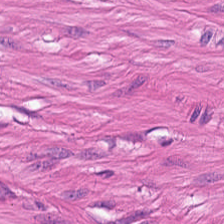The predominant tissue is muscularis.
